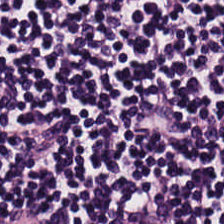Hematoxylin and eosin. 224×224 pixel tile — {"tissue_type": "lymphoid infiltrate"}
